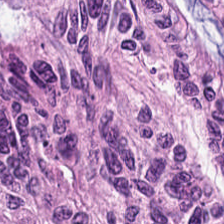224×224 px patch; H&E-stained tissue section. Colorectal adenocarcinoma epithelium.
